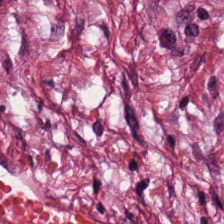Stain: H&E.
Resolution: 0.5 microns per pixel.
Tissue class: tumor stroma.
